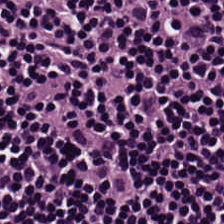Hematoxylin-and-eosin stained section.
Tissue = lymphoid infiltrate.
